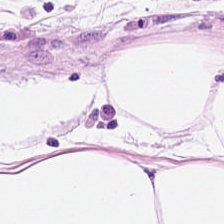H&E · FFPE — Histology — adipocytes.
